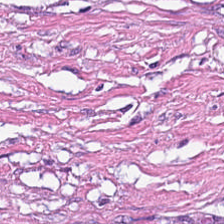Stain: hematoxylin-and-eosin stained section.
Acquisition: whole-slide-image patch.
Resolution: 0.5 µm per pixel.
Tissue type: cancer-associated stroma.
